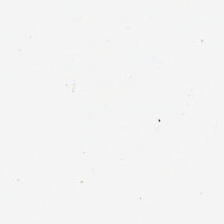WSI patch; H&E-stained tissue section.
Empty field — empty background.
